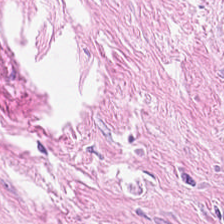Hematoxylin and eosin.
{"tissue_type": "tumor-associated stroma"}
